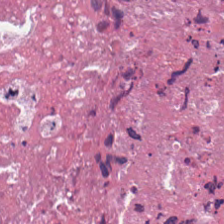FFPE tissue section · 0.5 µm per pixel · hematoxylin-and-eosin stained section — Q: What tissue type is shown here?
A: It is debris.
